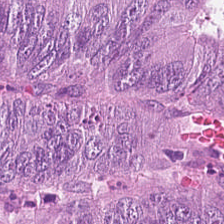Hematoxylin-and-eosin stained section — This patch shows malignant epithelium.
